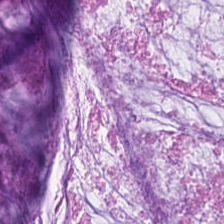224×224 px patch; hematoxylin-and-eosin stained section; whole-slide-image patch — Mucus.
